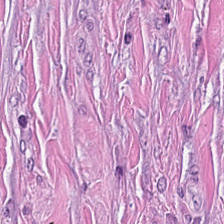Stain: hematoxylin and eosin.
Classification: cancer-associated stroma.
